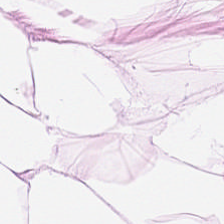The predominant tissue is adipocytes.
